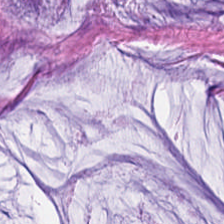Whole-slide-image patch; H&E stain.
This field is mucus.
